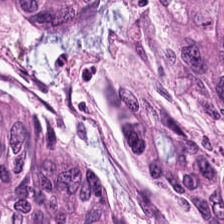Q: What is shown in this field?
A: Colorectal adenocarcinoma epithelium.
